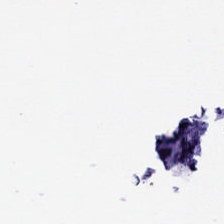Stain: hematoxylin and eosin.
Content: empty background.
